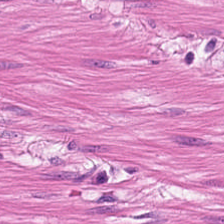H&E-stained tissue section.
Impression → muscularis.
